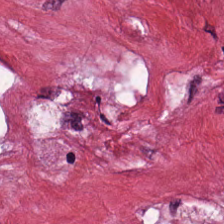{"tissue_type": "desmoplastic stroma"}
